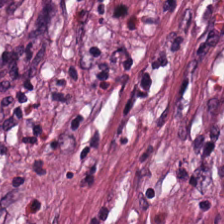H&E-stained tissue section showing cancer-associated stroma.
